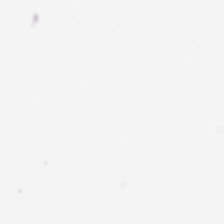Histology — background (no tissue).
